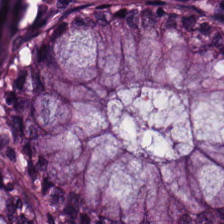Stain: hematoxylin-and-eosin stained section.
Predominant tissue: benign colonic mucosa.
